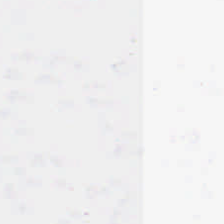20× equivalent magnification. Hematoxylin-and-eosin stained section.
Empty field — background (no tissue).
